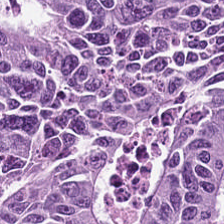Impression → adenocarcinoma.
